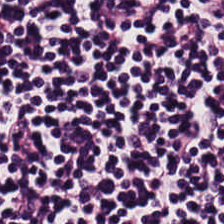Stain: hematoxylin-and-eosin stained section.
Tissue class: lymphocytes.
